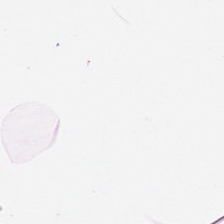H&E stain. 224×224 px tile — Tissue class = adipose tissue.
